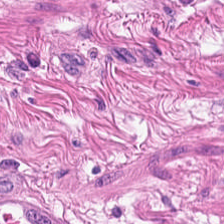Hematoxylin-and-eosin stained section — Q: What tissue type is shown here?
A: Smooth muscle.
